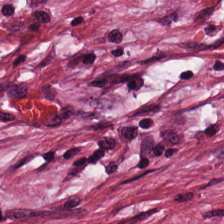Hematoxylin-and-eosin stained section; 224×224 pixel tile.
This patch shows cancer-associated stroma.
